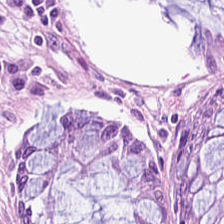H&E. Formalin-fixed paraffin-embedded section. Whole-slide-image patch — {"tissue_type": "non-neoplastic colon mucosa"}
